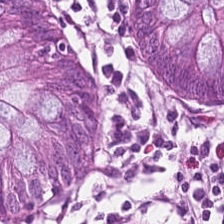224×224 px patch · H&E stain — Non-neoplastic colon mucosa.
